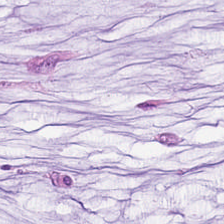H&E patch showing extracellular mucin.
